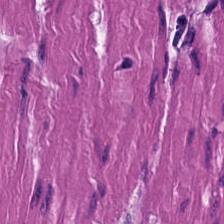H&E-stained section; the field shows smooth-muscle tissue.
